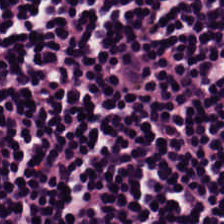224×224 pixel tile. Hematoxylin-and-eosin stained section — This patch shows lymphocytes.
